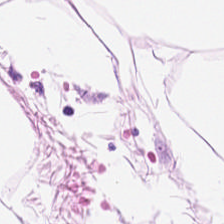Hematoxylin-and-eosin stained section.
Impression — fat tissue.
